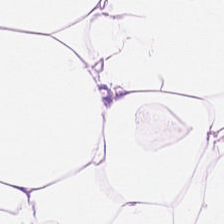FFPE tissue section; hematoxylin-and-eosin stained section; 224×224 px patch — Predominantly fat tissue.
